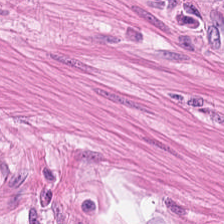Brightfield microscopy; hematoxylin and eosin; 224×224 px tile — Smooth-muscle tissue.
